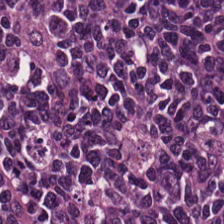Hematoxylin and eosin — The predominant tissue is lymphoid infiltrate.
